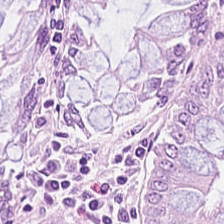Histology — normal colon mucosa.
